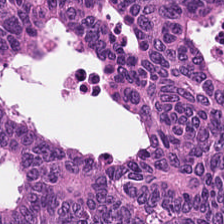Stain: H&E.
Predominant tissue: colorectal adenocarcinoma epithelium.
